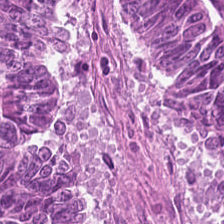Hematoxylin and eosin. This field is tumor epithelium.
